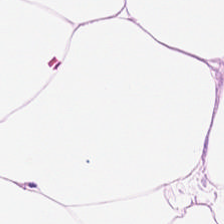Stain: hematoxylin-and-eosin stained section.
Classification: fat tissue.
